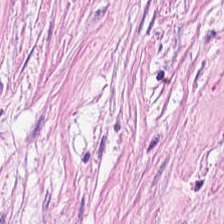Stain: H&E-stained tissue section.
Tissue class: tumor stroma.
